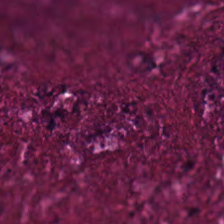H&E. Tissue type = debris.
